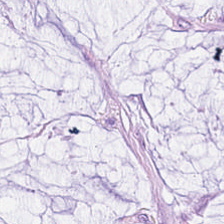H&E-stained tissue section. Q: What is shown in this field?
A: This is mucin.
